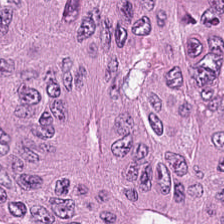Predominantly malignant epithelium.
